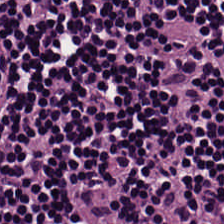Lymphocyte aggregate.
